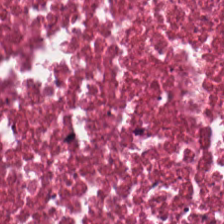Hematoxylin and eosin.
This field is cellular debris.
